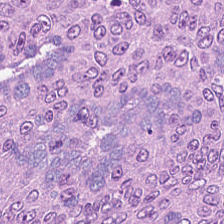Hematoxylin-and-eosin stained section — Predominant tissue — adenocarcinoma.
